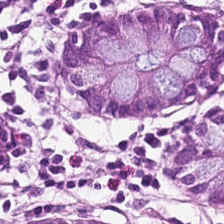H&E stain.
Normal colon mucosa.
